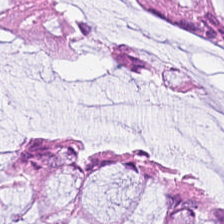224×224 px patch. Hematoxylin-and-eosin stained section. Formalin-fixed paraffin-embedded section.
The classification is normal colon mucosa.
